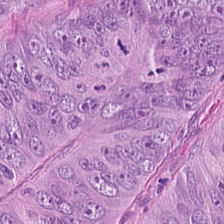224×224 px patch; 0.5 µm/px; hematoxylin and eosin.
Adenocarcinoma.
